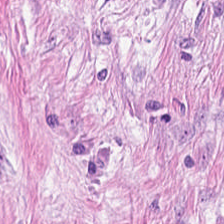Hematoxylin and eosin — Predominantly desmoplastic stroma.
